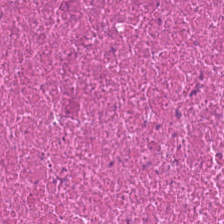Tissue = debris.
